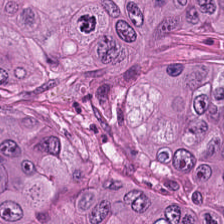H&E stain.
{"tissue_type": "malignant epithelium"}
